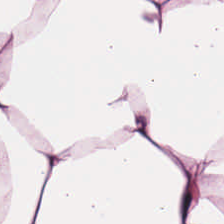H&E-stained tissue section; 0.5 µm/px; FFPE tissue section — Q: Classify this patch.
A: The field shows adipocytes.
